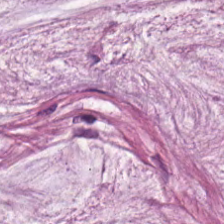H&E — Q: What is shown in this field?
A: This is mucin.
